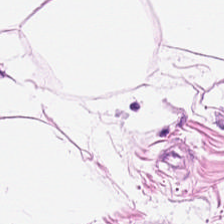H&E stain · 0.5 microns per pixel · FFPE tissue section — Finding → adipose tissue.
